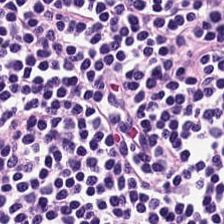H&E stain. The tissue here is lymphocytic infiltrate.
